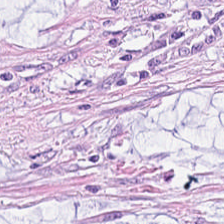Hematoxylin-and-eosin stained section. FFPE tissue section. WSI patch — Predominant tissue: mucus.
